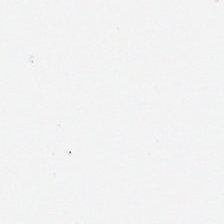H&E stain — Background — no tissue in this field.
